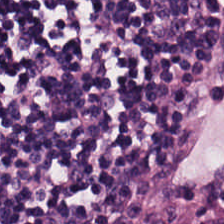H&E — lymphoid infiltrate.
